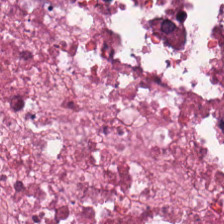{"tissue_type": "cellular debris"}
